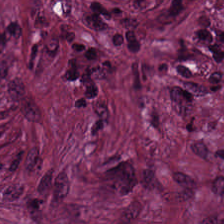H&E — Histology → desmoplastic stroma.
